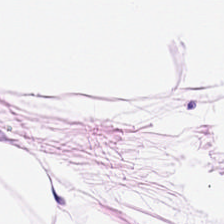224×224 px patch; brightfield; H&E. The predominant tissue is fat tissue.
